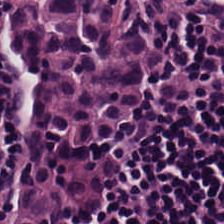Q: What is shown here?
A: This is lymphocytes.
